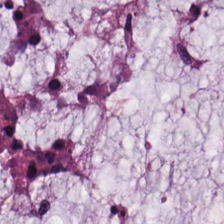H&E patch showing extracellular mucin.
